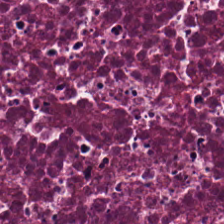Hematoxylin and eosin · whole-slide-image patch. The tissue class is debris.
